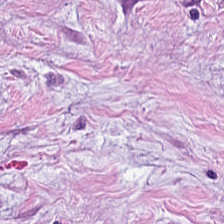Hematoxylin and eosin. Tissue: cancer-associated stroma.
